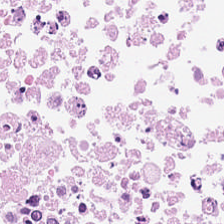FFPE · H&E stain — Impression — necrotic debris.
